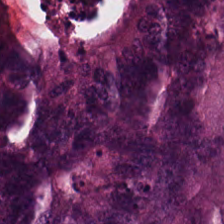Hematoxylin-and-eosin stained section — Classification = colorectal adenocarcinoma.
